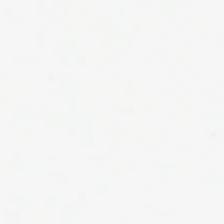Stain: H&E.
Content: background.
